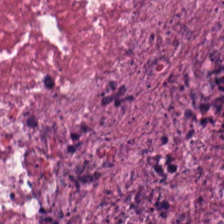Hematoxylin and eosin — Tissue — debris.
